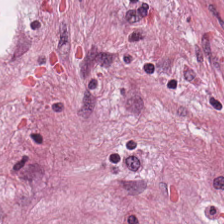H&E — Tissue class: cancer-associated stroma.
